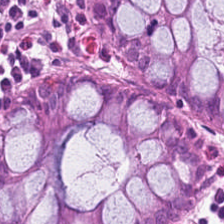Brightfield microscopy · H&E · FFPE tissue section.
Tissue — normal colonic mucosa.
